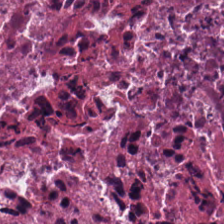H&E. Q: What type of tissue is this?
A: Debris.
